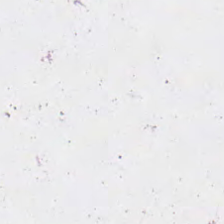Hematoxylin and eosin — This field is background (no tissue).
